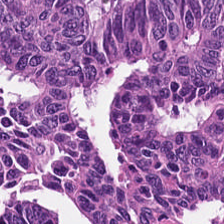Hematoxylin-and-eosin stained section.
Q: What is shown in this field?
A: Colorectal adenocarcinoma epithelium.
